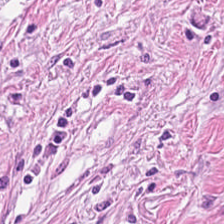Tumor-associated stroma.
